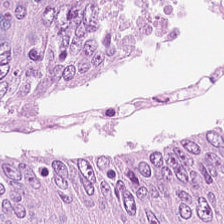Hematoxylin-and-eosin stained section. FFPE tissue section. 224×224 px patch.
The tissue class is colorectal adenocarcinoma.
